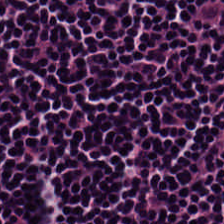H&E stain; 224×224 px patch; formalin-fixed paraffin-embedded section.
Classification — lymphoid infiltrate.
